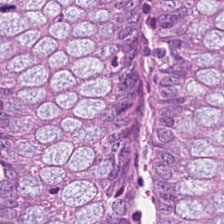FFPE tissue section · WSI patch · H&E. Classification — non-neoplastic colon mucosa.
